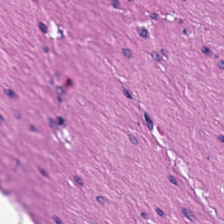Hematoxylin and eosin — {"tissue_type": "smooth-muscle tissue"}
